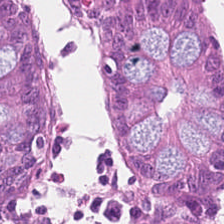H&E stain. Finding → normal colon mucosa.
